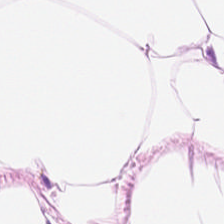H&E stain — {"tissue_type": "adipocytes"}
